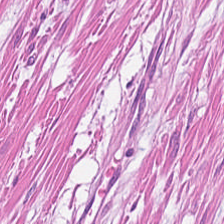The tissue type is smooth muscle.
